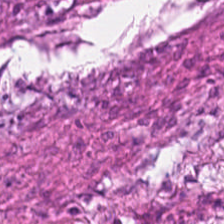Histology — desmoplastic stroma.
